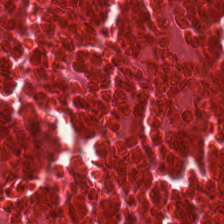Predominant tissue: debris.
